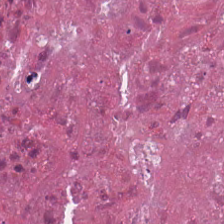Hematoxylin-and-eosin stained section; 224×224 px tile — Q: Identify the tissue.
A: Necrotic debris.
